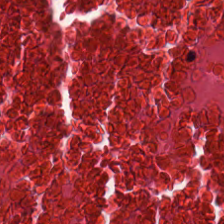{"tissue_type": "cellular debris"}
